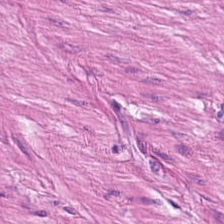Classification — smooth muscle.
